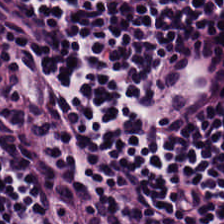Classification: lymphocyte aggregate.
